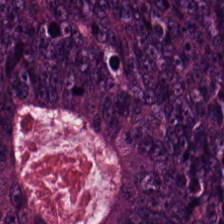H&E-stained tissue section.
Tissue class — malignant epithelium.
